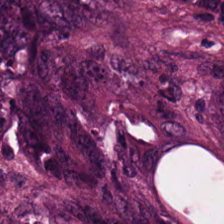Tissue class = colorectal adenocarcinoma.
